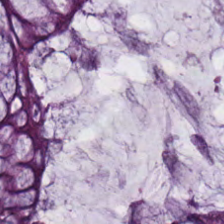H&E — normal colon mucosa.
